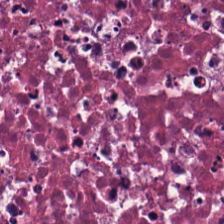Finding — necrotic debris.
